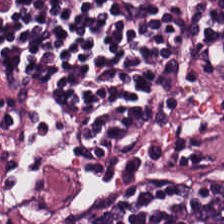Tissue: lymphocytes.
